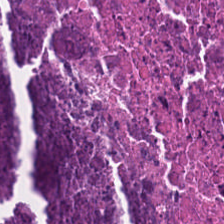Hematoxylin-and-eosin stained section · 20× equivalent magnification. Showing necrotic debris.
